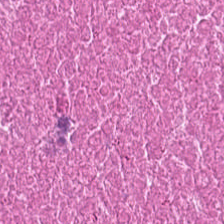H&E stain — Histology — debris.
